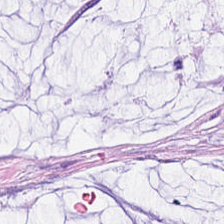Hematoxylin and eosin. Mucus.
